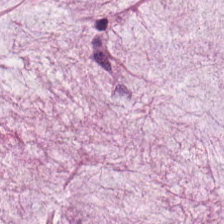H&E-stained tissue section.
Predominantly extracellular mucin.
